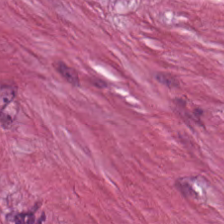H&E. 0.5 µm/px. Q: Identify the tissue.
A: This is cancer-associated stroma.
